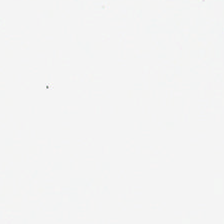Hematoxylin-and-eosin stained section — This patch shows background (no tissue).
